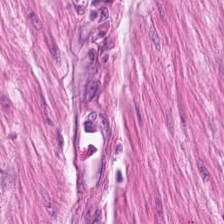224×224 px patch. H&E. FFPE.
Q: What is shown here?
A: Smooth muscle.
